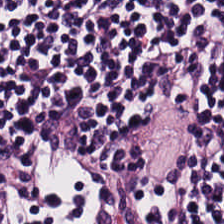Hematoxylin-and-eosin stained section; 20× equivalent magnification; formalin-fixed paraffin-embedded section — Tissue class: lymphoid infiltrate.
